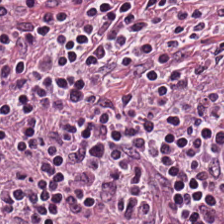0.5 microns per pixel · WSI patch · H&E stain. This patch shows lymphoid infiltrate.
